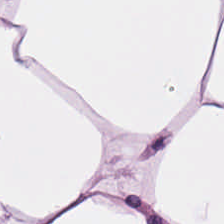H&E stain; 224×224 px patch; brightfield microscopy — Predominant tissue: adipose tissue.
